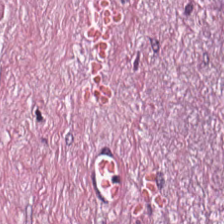{"tissue_type": "cancer-associated stroma"}
